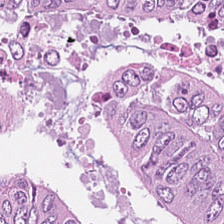Hematoxylin-and-eosin stained section. Predominantly colorectal adenocarcinoma epithelium.
